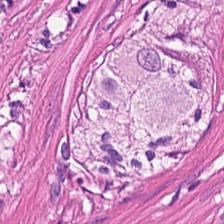Finding → smooth muscle.
